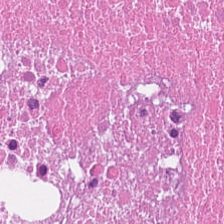H&E-stained tissue section — The tissue type is necrotic debris.
